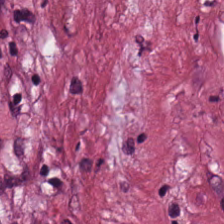Hematoxylin and eosin. Showing tumor-associated stroma.
